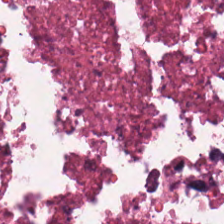Stain: hematoxylin and eosin.
Acquisition: brightfield microscopy.
Classification: cellular debris.
